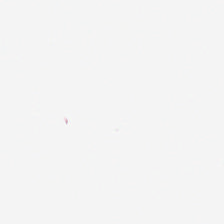H&E stain.
Classification: background.
